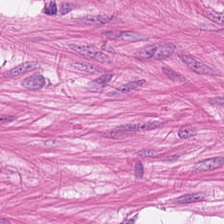{"tissue_type": "smooth muscle"}
